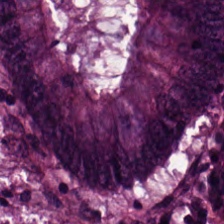Tissue = tumor epithelium.
